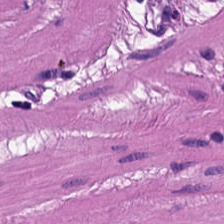H&E-stained tissue section · 224×224 px tile. The predominant tissue is smooth muscle.
